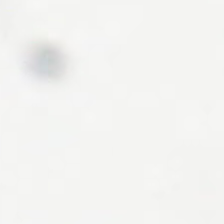{"content": "background (no tissue)"}
